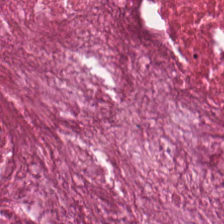H&E-stained tissue section — Predominantly necrotic debris.
